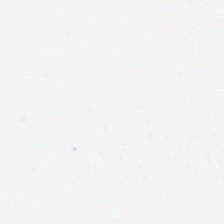Hematoxylin-and-eosin stained section. Formalin-fixed paraffin-embedded section.
Finding → background (no tissue).
